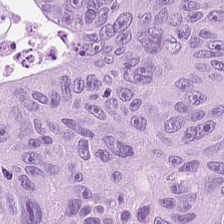FFPE tissue section; H&E — This patch shows malignant epithelium.
